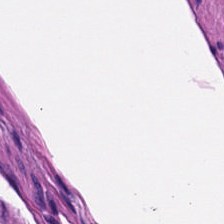Stain: H&E.
Acquisition: brightfield microscopy.
Preparation: FFPE tissue section.
Predominant tissue: smooth muscle.
